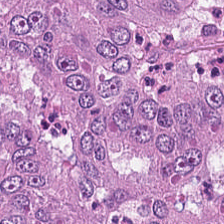H&E stain.
Impression — colorectal adenocarcinoma epithelium.
